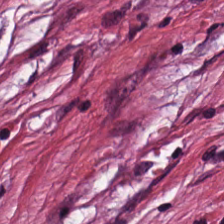Showing tumor-associated stroma.
